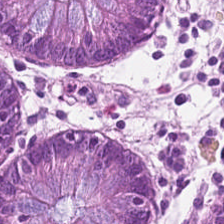H&E stain; WSI patch. Q: What tissue type is shown here?
A: Benign colonic mucosa.
